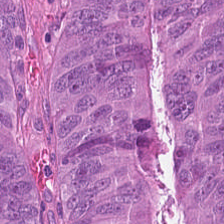Hematoxylin-and-eosin stained section.
This field is colorectal adenocarcinoma epithelium.
